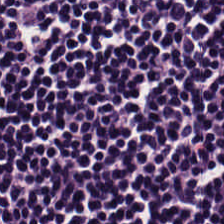H&E-stained tissue section. Predominantly lymphocyte aggregate.
